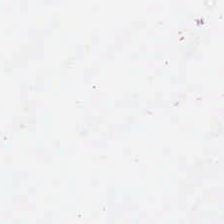H&E stain — Background.
